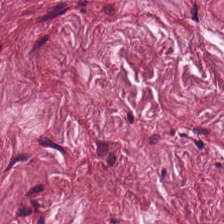Hematoxylin and eosin — Q: What type of tissue is this?
A: It is desmoplastic stroma.
